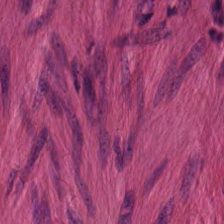H&E-stained tissue section · FFPE.
Q: What is shown here?
A: This is muscularis.
